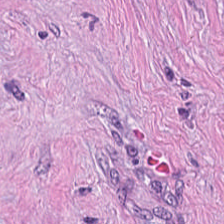Q: What is shown in this field?
A: The field shows cancer-associated stroma.
